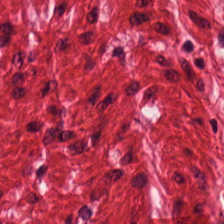Hematoxylin-and-eosin stained section.
Q: What is the predominant tissue type?
A: It is smooth muscle.
